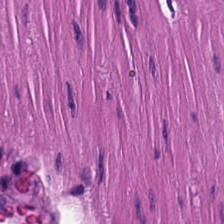Q: What tissue is shown?
A: The field shows muscularis.
